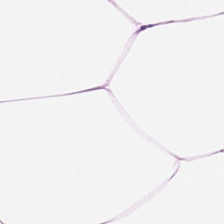H&E. 224×224 px tile.
Classification = fat tissue.
